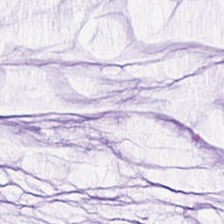H&E.
Tissue: extracellular mucin.
